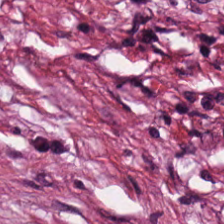Hematoxylin and eosin. This patch shows desmoplastic stroma.
